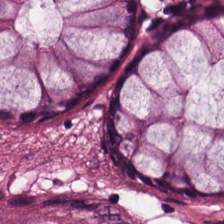H&E. Impression → normal colon mucosa.
